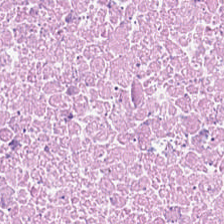The tissue here is debris.
